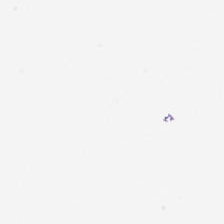Hematoxylin-and-eosin stained section. No tissue present; background only.
